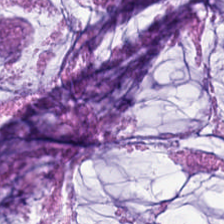This field is mucus.
